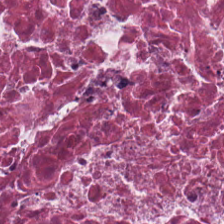{"tissue_type": "cellular debris"}
